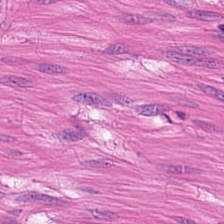Hematoxylin and eosin. 224×224 px tile.
The classification is muscularis.
